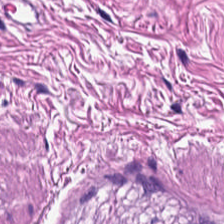The tissue class is smooth-muscle tissue.
